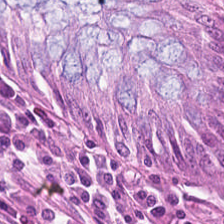Tissue — non-neoplastic colon mucosa.
